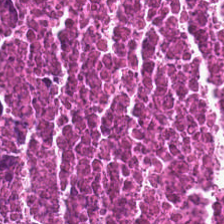Stain: hematoxylin-and-eosin stained section.
Tissue: cellular debris.
